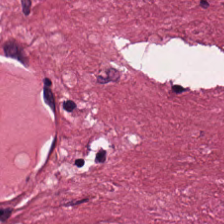H&E-stained tissue section; formalin-fixed paraffin-embedded section; 224×224 px tile — The predominant tissue is desmoplastic stroma.
